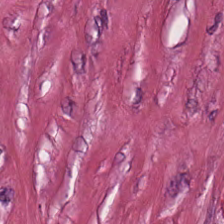H&E stain — Q: What type of tissue is this?
A: It is tumor-associated stroma.
